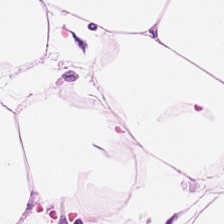H&E stain. Predominantly fat tissue.
